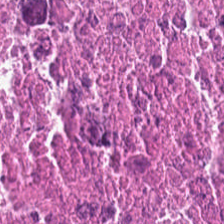Brightfield. Hematoxylin-and-eosin stained section. Predominant tissue: debris.
